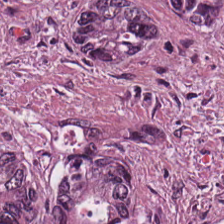Tissue type = colorectal adenocarcinoma epithelium.
